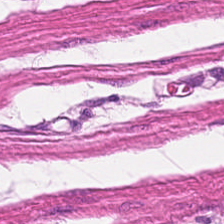Q: Classify this patch.
A: The field shows smooth muscle.
